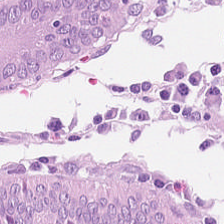Q: What tissue type is shown here?
A: This is non-neoplastic colon mucosa.
